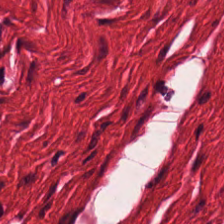Hematoxylin and eosin — Q: What tissue is shown?
A: This is smooth-muscle tissue.
